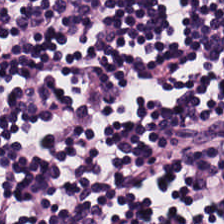Whole-slide-image patch · H&E · 0.5 µm/px — Showing lymphocytes.
